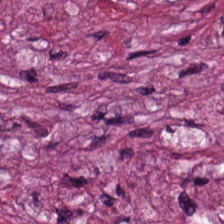H&E-stained tissue section. Classification = tumor stroma.
